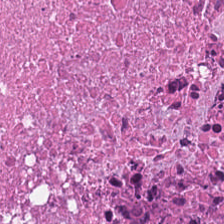H&E-stained tissue section · brightfield · 224×224 pixel tile. Predominant tissue: cellular debris.
